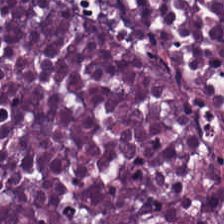H&E.
Tissue class: debris.
